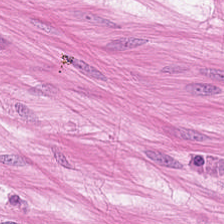20× equivalent magnification · H&E — Classification: smooth muscle.
